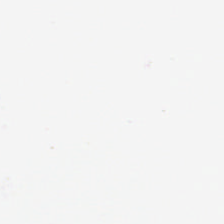Classification — background.
